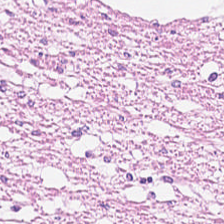WSI patch. H&E stain. Showing smooth muscle.
